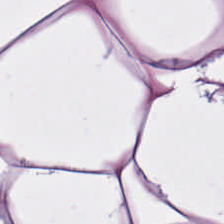H&E-stained tissue section · FFPE tissue section.
Tissue class: adipocytes.
